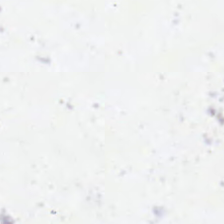Finding — background (no tissue).
